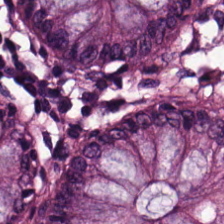Stain: H&E-stained tissue section.
Preparation: FFPE.
Classification: non-neoplastic colon mucosa.
